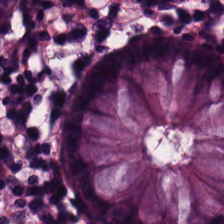Brightfield microscopy. Hematoxylin-and-eosin stained section. Q: Identify the tissue.
A: This is normal colon mucosa.
